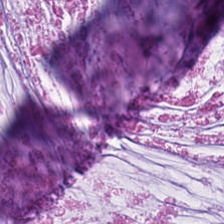H&E-stained tissue section. Impression — extracellular mucin.
